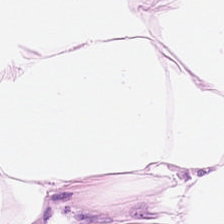H&E.
The tissue here is adipose.
